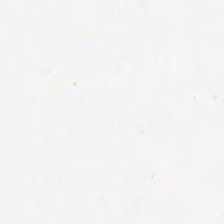Hematoxylin and eosin. Empty field — no tissue.
